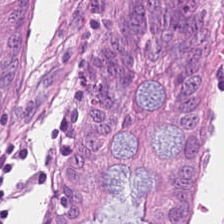Hematoxylin-and-eosin stained section · brightfield.
{"tissue_type": "normal colon mucosa"}
